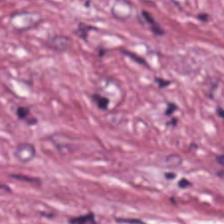Whole-slide-image patch · 0.5 microns per pixel · H&E — Predominant tissue — cancer-associated stroma.
